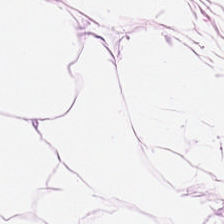Stain: H&E stain.
Tissue: adipocytes.
